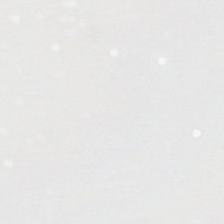Stain: H&E stain.
Tile size: 224×224 px patch.
Content: background (no tissue).
